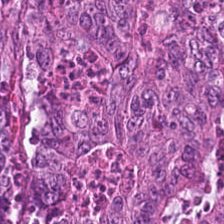H&E-stained tissue section. Showing colorectal adenocarcinoma epithelium.
